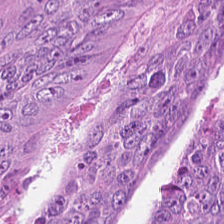Hematoxylin-and-eosin stained section. The predominant tissue is adenocarcinoma.
